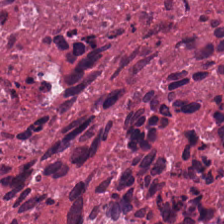0.5 microns per pixel · H&E-stained tissue section. Tissue type — debris.
